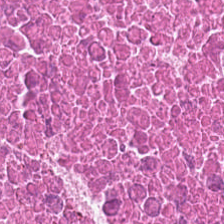Hematoxylin and eosin · 224×224 px tile — Tissue type: debris.
